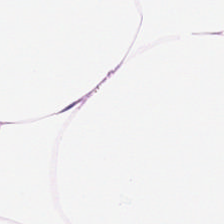H&E — The tissue class is fat tissue.
